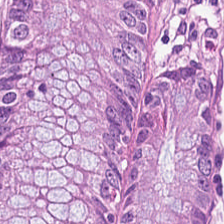H&E stain — The tissue here is benign colonic mucosa.
